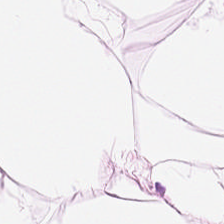FFPE tissue section; H&E-stained tissue section — This field is adipocytes.
